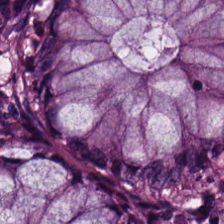Hematoxylin and eosin — Tissue type = non-neoplastic colon mucosa.
